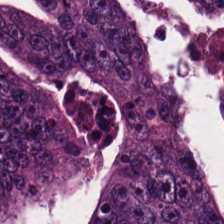H&E-stained tissue section.
The tissue type is colorectal adenocarcinoma.
